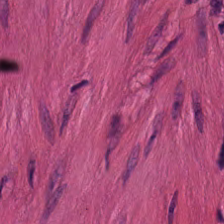H&E. The tissue here is muscularis.
